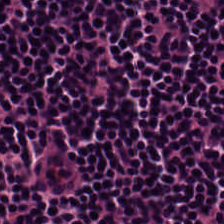H&E stain; FFPE. This field is lymphocytic infiltrate.
